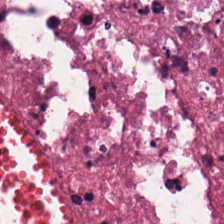Stain: hematoxylin and eosin.
Tissue type: cellular debris.
